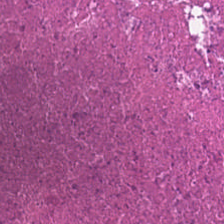Hematoxylin and eosin. 224×224 px tile. 0.5 microns per pixel — Predominantly necrotic debris.
